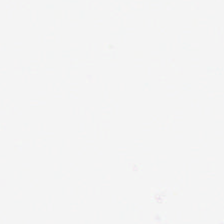Hematoxylin and eosin — Field content = no tissue.
